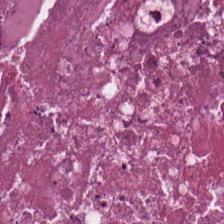H&E — Q: What type of tissue is this?
A: This is cellular debris.
